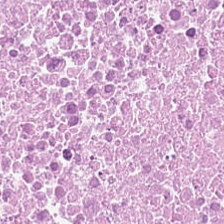224×224 pixel tile; H&E. Tissue class — necrotic debris.
